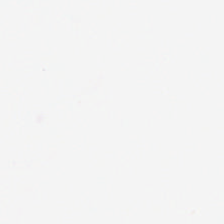Hematoxylin-and-eosin stained section. Field content = empty background.
